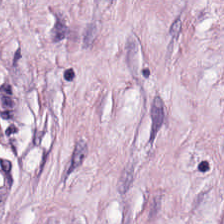Hematoxylin-and-eosin stained section.
Q: What tissue is shown?
A: It is tumor-associated stroma.
